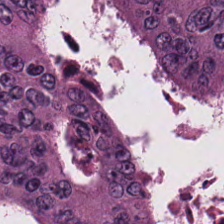Predominant tissue = colorectal adenocarcinoma epithelium.
